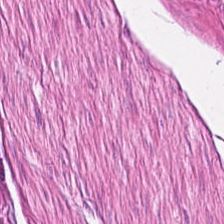Stain: H&E-stained tissue section.
Tissue class: smooth-muscle tissue.
